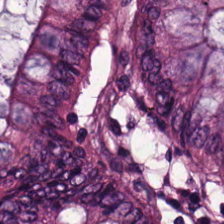H&E — This field is non-neoplastic colon mucosa.
